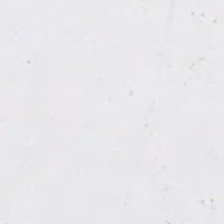Hematoxylin and eosin.
Empty field — empty background.
